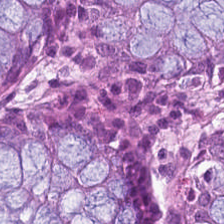Stain: H&E stain.
Acquisition: brightfield microscopy.
Classification: non-neoplastic colon mucosa.
